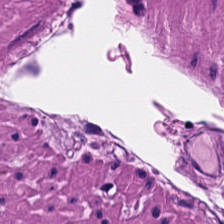224×224 pixel tile. H&E. FFPE tissue section.
{"tissue_type": "smooth-muscle tissue"}
